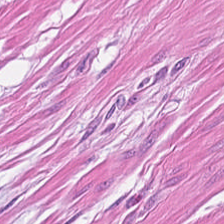Hematoxylin-and-eosin stained section — Showing smooth-muscle tissue.
